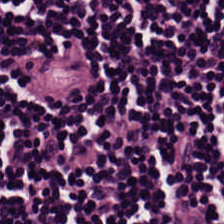H&E stain; 224×224 pixel tile — Histology — lymphocytes.
